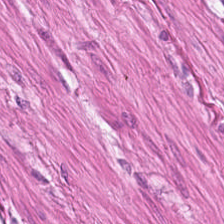Hematoxylin-and-eosin stained section; 0.5 µm/px — Predominant tissue = smooth muscle.
